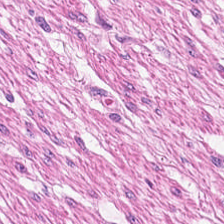Stain: H&E-stained tissue section.
Classification: smooth muscle.
